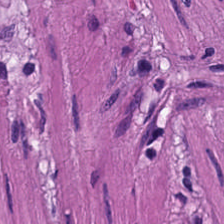Impression — muscularis.
